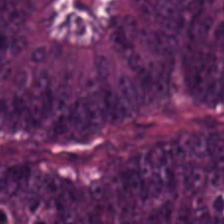Stain: H&E-stained tissue section.
Tile size: 224×224 px patch.
Predominant tissue: colorectal adenocarcinoma.
